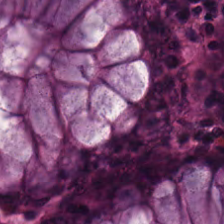H&E stain; 0.5 µm/px; brightfield.
Showing normal colon mucosa.
